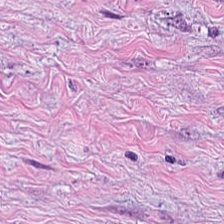H&E-stained tissue section. Tissue class = tumor-associated stroma.
